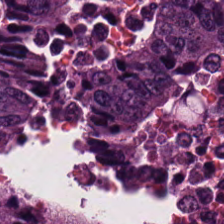H&E — tumor epithelium.
